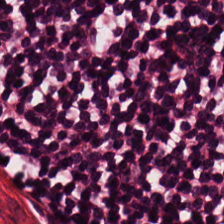Tissue: lymphocytes.
